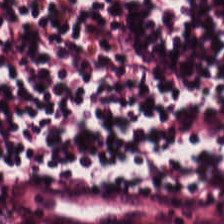0.5 µm per pixel · hematoxylin and eosin — {"tissue_type": "lymphocyte aggregate"}
